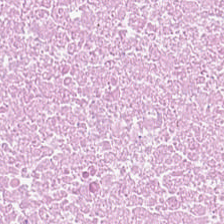H&E-stained tissue section · brightfield microscopy.
The tissue here is debris.
